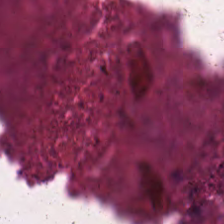H&E stain. Impression — debris.
